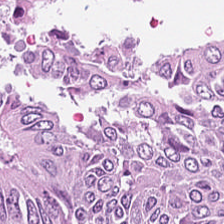Hematoxylin-and-eosin stained section — The tissue here is malignant epithelium.
